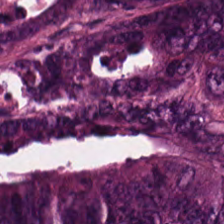H&E — malignant epithelium.
